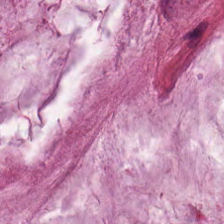Stain: hematoxylin-and-eosin stained section.
Predominant tissue: mucus.
